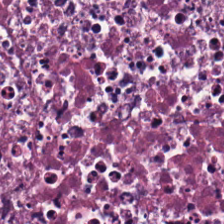Hematoxylin-and-eosin stained section · FFPE · 224×224 px tile — Predominantly necrotic debris.
